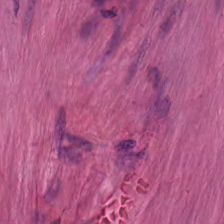Stain: H&E.
Tissue type: smooth-muscle tissue.
